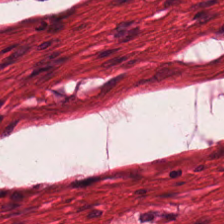Predominantly muscularis.
